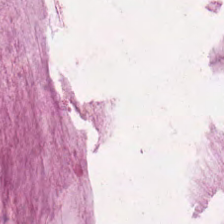H&E-stained tissue section. Q: Identify the tissue.
A: The field shows mucin.
